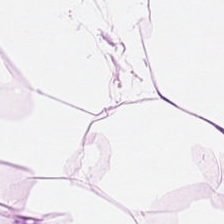FFPE tissue section. H&E.
Q: What is shown in this field?
A: The field shows adipocytes.
